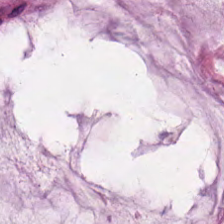Hematoxylin and eosin. Q: Identify the tissue.
A: Extracellular mucin.
